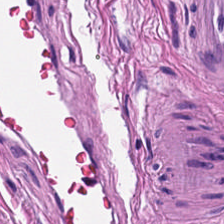Formalin-fixed paraffin-embedded section; H&E-stained tissue section. Tissue class: muscularis.
